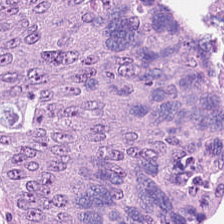Formalin-fixed paraffin-embedded section. H&E. Tissue class: colorectal adenocarcinoma.
